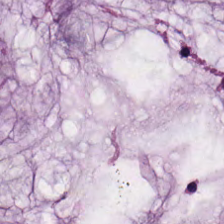Stain: hematoxylin and eosin.
Tissue class: mucin.
